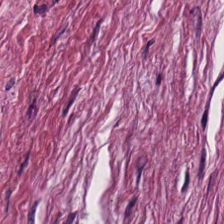H&E-stained tissue section — This field is desmoplastic stroma.
